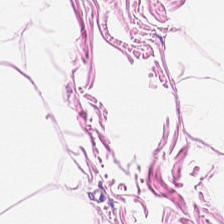H&E · 0.5 microns per pixel · WSI patch. Showing fat tissue.
